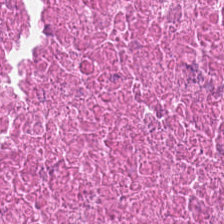Hematoxylin-and-eosin stained section; 0.5 µm per pixel; FFPE tissue section. The predominant tissue is debris.
